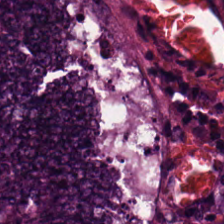Hematoxylin-and-eosin stained section; FFPE tissue section. {"tissue_type": "malignant epithelium"}
